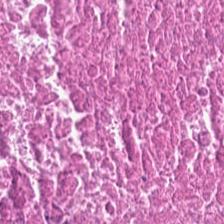Classification: necrotic debris.
